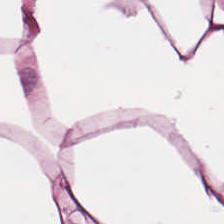Whole-slide-image patch; hematoxylin-and-eosin stained section; 224×224 pixel tile.
Predominantly adipose tissue.
